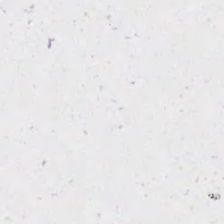Classification = empty background.
